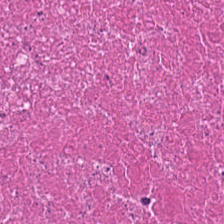Hematoxylin-and-eosin stained section · 224×224 px patch.
Showing cellular debris.
